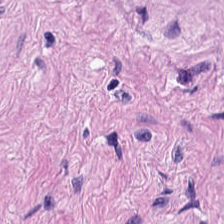H&E stain — The tissue here is muscularis.
